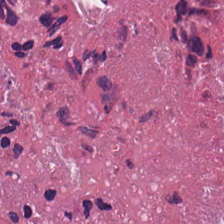The tissue here is cellular debris.
